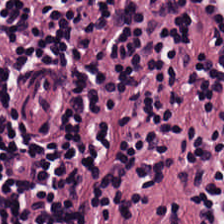This patch shows lymphoid infiltrate.
